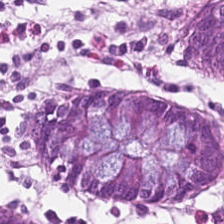H&E-stained tissue section — Predominant tissue: non-neoplastic colon mucosa.
